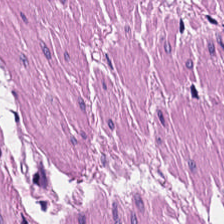224×224 pixel tile; hematoxylin and eosin. This field is smooth-muscle tissue.
